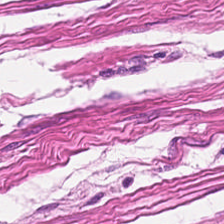H&E — smooth-muscle tissue.
